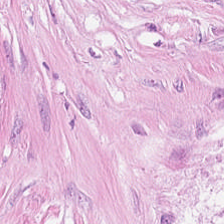H&E.
Tissue class: cancer-associated stroma.
